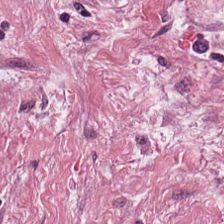This patch shows cancer-associated stroma.
